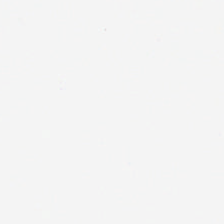No tissue present; background only.
